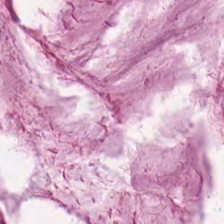Histology — mucin.
